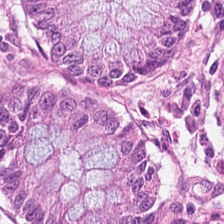The tissue here is normal colon mucosa.
